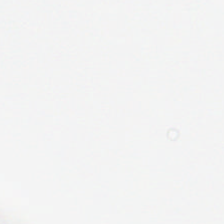No tissue present; background only.
